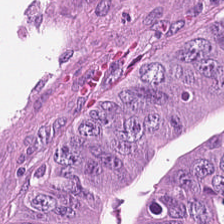Stain: H&E.
Classification: colorectal adenocarcinoma epithelium.
